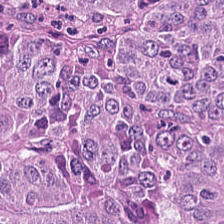Hematoxylin and eosin — Finding → adenocarcinoma.
